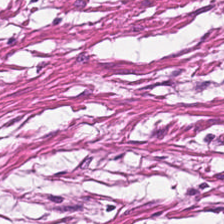H&E stain; brightfield microscopy.
The predominant tissue is smooth muscle.
